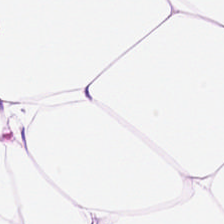H&E-stained tissue section.
Tissue type: adipocytes.
